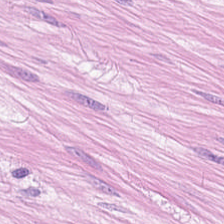224×224 pixel tile. FFPE tissue section. Hematoxylin-and-eosin stained section — Showing smooth-muscle tissue.
